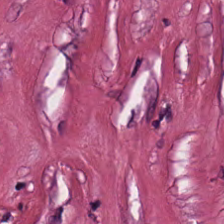H&E.
The predominant tissue is tumor-associated stroma.
